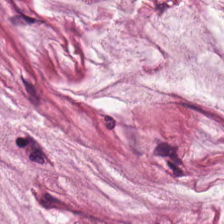Stain: hematoxylin-and-eosin stained section.
Acquisition: WSI patch.
Tissue: mucin.
